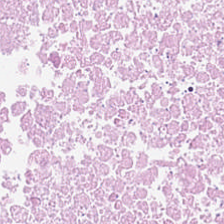224×224 px tile · H&E stain · brightfield — Necrotic debris.
